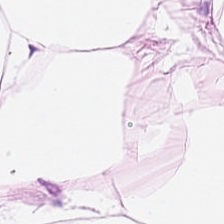H&E · 20× equivalent magnification · 224×224 px patch — {"tissue_type": "adipose tissue"}
